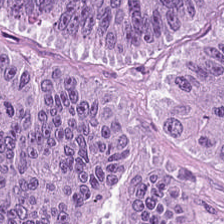Hematoxylin-and-eosin stained section — This field is tumor epithelium.
